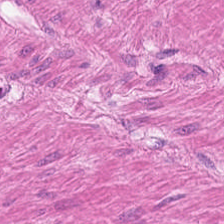Hematoxylin-and-eosin stained section. Q: What is the predominant tissue type?
A: The field shows muscularis.
